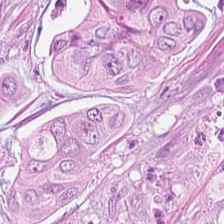H&E-stained tissue section showing adenocarcinoma.
